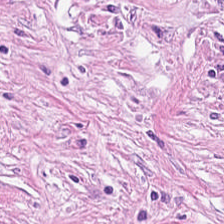Stain: hematoxylin-and-eosin stained section.
Tissue: tumor-associated stroma.
